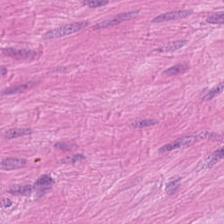Hematoxylin-and-eosin stained section.
The tissue here is muscularis.
